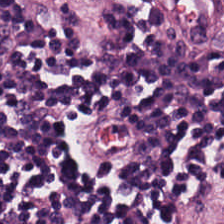H&E. 224×224 pixel tile.
This patch shows lymphoid infiltrate.
